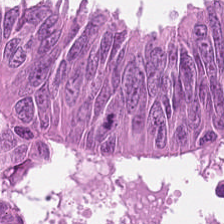H&E stain.
Tissue: colorectal adenocarcinoma epithelium.
